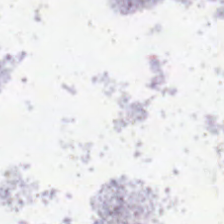0.5 µm/px. 224×224 pixel tile. H&E — Q: Classify this patch.
A: The field shows empty background.
